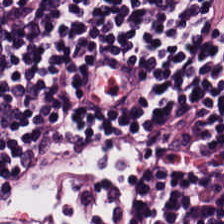Impression → lymphocyte aggregate.
